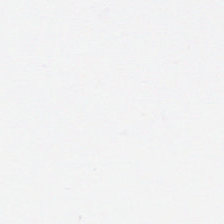20× equivalent magnification; hematoxylin-and-eosin stained section — Q: What does this patch show?
A: This is empty background.
